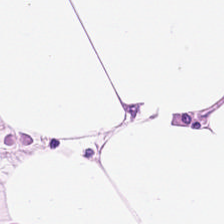Predominantly adipose tissue.
